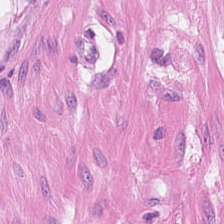H&E stain. Predominantly smooth-muscle tissue.
